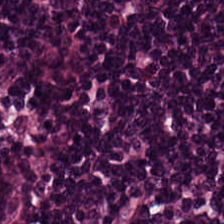Brightfield microscopy · hematoxylin and eosin.
This patch shows lymphocytes.
